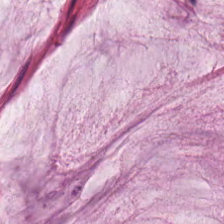H&E-stained tissue section — The tissue here is mucin.
